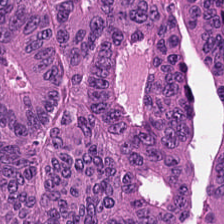Hematoxylin and eosin · 224×224 px patch.
This field is adenocarcinoma.
